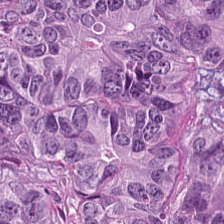Hematoxylin and eosin.
Q: What is shown in this field?
A: It is adenocarcinoma.
